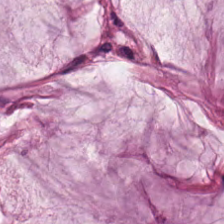H&E stain. Q: What is the predominant tissue type?
A: Mucin.
